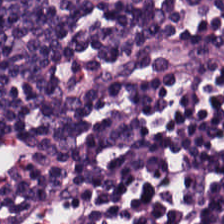H&E-stained tissue section showing lymphocytic infiltrate.
